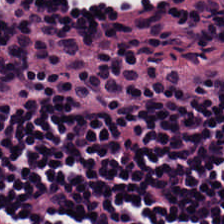WSI patch. H&E. Q: What is shown in this field?
A: This is lymphocytic infiltrate.
